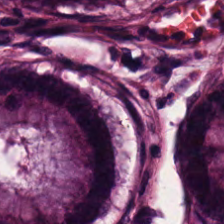H&E-stained tissue section · formalin-fixed paraffin-embedded section.
The classification is non-neoplastic colon mucosa.
